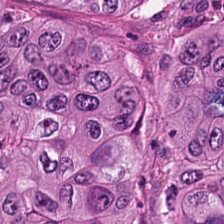H&E; WSI patch. Histology — colorectal adenocarcinoma.
